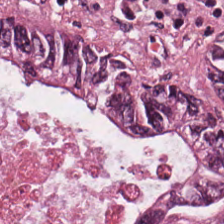Hematoxylin and eosin.
The tissue class is malignant epithelium.
